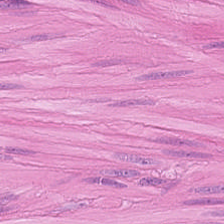H&E-stained tissue section. 224×224 px patch.
Tissue = smooth muscle.
